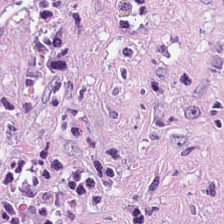This patch shows tumor-associated stroma.
